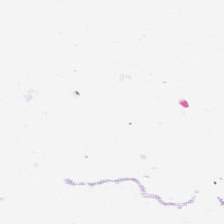The classification is no tissue.
